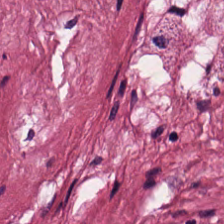H&E stain · WSI patch · 224×224 pixel tile. Classification = tumor stroma.
